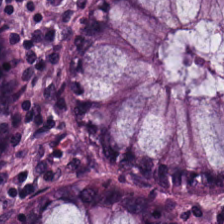WSI patch · H&E stain. Predominantly benign colonic mucosa.
